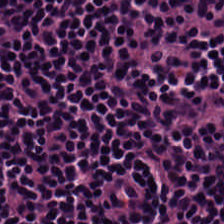Hematoxylin-and-eosin stained section; 224×224 px tile — Tissue type = lymphocytic infiltrate.
